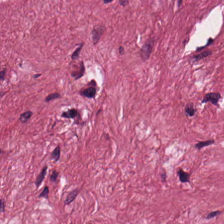Hematoxylin-and-eosin stained section.
Tissue type — tumor stroma.
